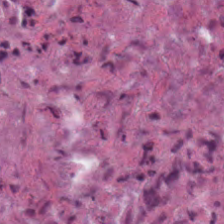H&E stain — Classification — necrotic debris.
